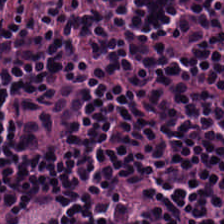H&E-stained tissue section — This patch shows lymphocytes.
